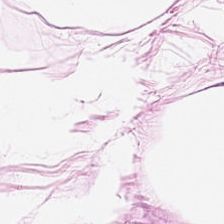Hematoxylin-and-eosin stained section. Adipose.
